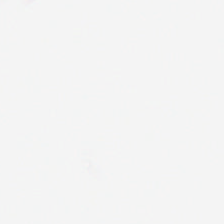H&E stain.
Q: Classify this patch.
A: This is no tissue.
